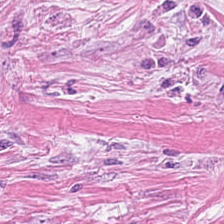H&E stain — Finding — tumor-associated stroma.
